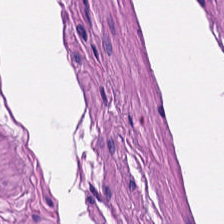Tissue — muscularis.
